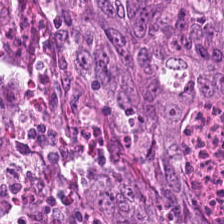224×224 pixel tile. Hematoxylin and eosin.
Tissue = tumor epithelium.
